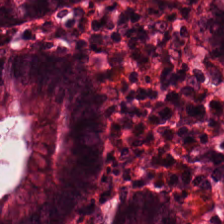H&E-stained section; the field shows normal colonic mucosa.
